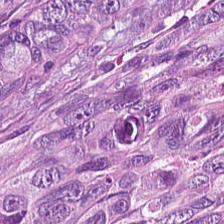224×224 px tile. Hematoxylin and eosin — Q: What tissue is shown?
A: It is colorectal adenocarcinoma.
